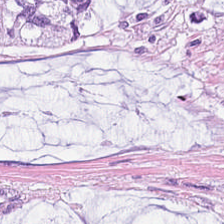FFPE · H&E-stained tissue section · 0.5 µm per pixel — Histology → mucin.
